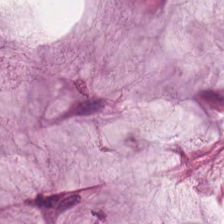FFPE · 0.5 µm per pixel · H&E-stained tissue section — Q: What is shown in this field?
A: The field shows mucus.
